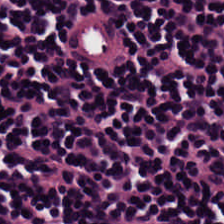Hematoxylin-and-eosin stained section · FFPE tissue section · brightfield microscopy.
The tissue here is lymphocytes.
